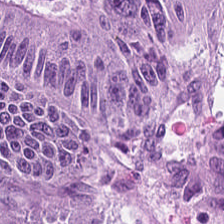Stain: hematoxylin-and-eosin stained section.
Tissue: adenocarcinoma.
